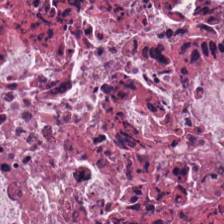Hematoxylin and eosin. Brightfield microscopy — This field is debris.
